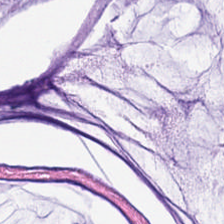Stain: H&E stain.
Preparation: FFPE.
Classification: extracellular mucin.
